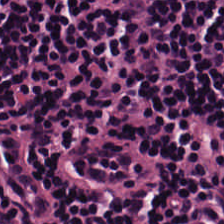0.5 µm/px · H&E stain · 224×224 px patch. The tissue type is lymphocyte aggregate.
